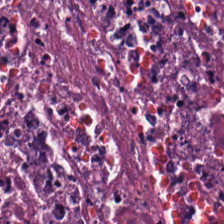H&E stain.
Predominant tissue: debris.
